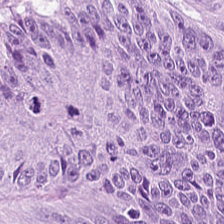224×224 px patch · H&E-stained tissue section · FFPE tissue section — The tissue here is colorectal adenocarcinoma.
